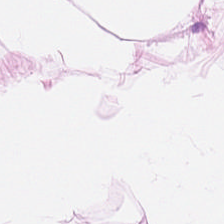H&E-stained tissue section showing adipose.
